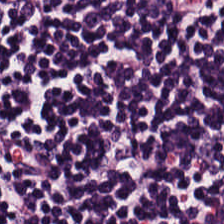Brightfield · H&E-stained tissue section. Q: What tissue is shown?
A: This is lymphocytic infiltrate.
